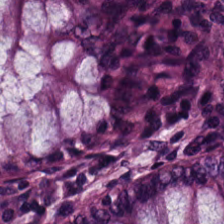H&E stain. 0.5 microns per pixel.
Classification = normal colon mucosa.
